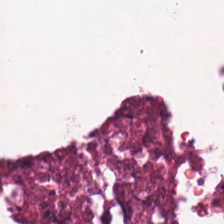Stain: hematoxylin and eosin.
Tissue class: necrotic debris.
